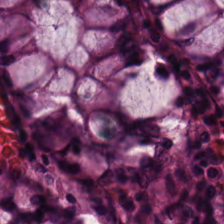Stain: H&E stain.
Resolution: 0.5 µm/px.
Acquisition: WSI patch.
Tissue type: normal colon mucosa.
